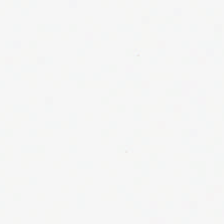Hematoxylin-and-eosin stained section.
No tissue present; background only.
